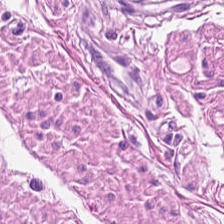H&E stain · 0.5 µm per pixel — Tissue type — muscularis.
